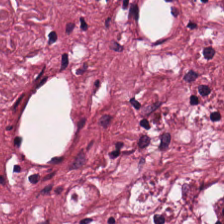Stain: H&E stain.
Preparation: FFPE.
Tissue type: tumor-associated stroma.
